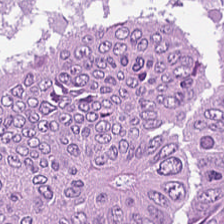Stain: hematoxylin-and-eosin stained section.
Resolution: 0.5 µm/px.
Preparation: FFPE.
Tissue: colorectal adenocarcinoma epithelium.
